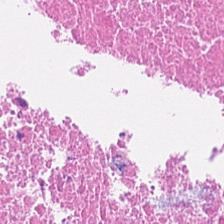Hematoxylin-and-eosin section: debris.
